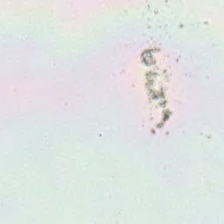Content = no tissue.
